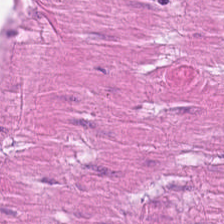Hematoxylin and eosin. WSI patch — The tissue here is smooth muscle.
